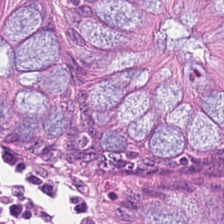H&E-stained section; the field shows non-neoplastic colon mucosa.
